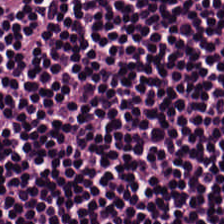H&E stain — Predominant tissue — lymphoid infiltrate.
